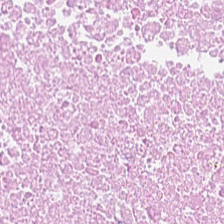H&E.
Classification — necrotic debris.
